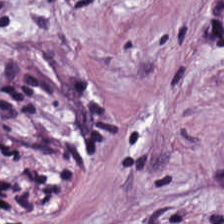Showing cancer-associated stroma.
